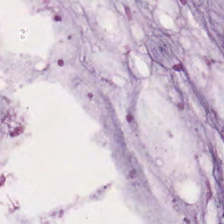Formalin-fixed paraffin-embedded section; H&E stain; 224×224 px patch. Tissue type — mucus.
